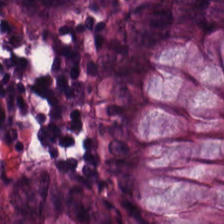FFPE tissue section · hematoxylin and eosin — Tissue class = normal colonic mucosa.
